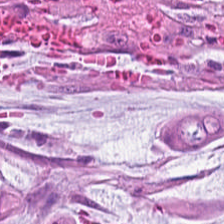Hematoxylin-and-eosin stained section. FFPE tissue section.
The tissue here is mucin.
